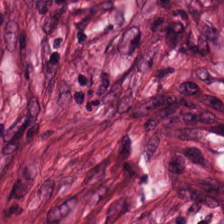224×224 px patch. 0.5 microns per pixel. Hematoxylin and eosin.
This field is cancer-associated stroma.
